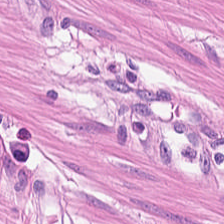Tissue: smooth-muscle tissue.
